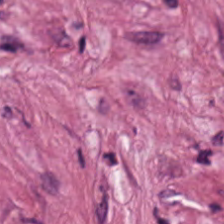Tissue type = tumor-associated stroma.
